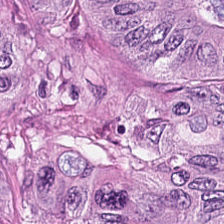Stain: hematoxylin-and-eosin stained section.
Resolution: 0.5 microns per pixel.
Classification: colorectal adenocarcinoma.
